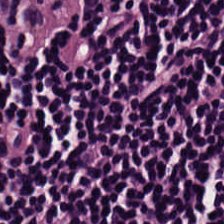Q: What tissue is shown?
A: Lymphoid infiltrate.
